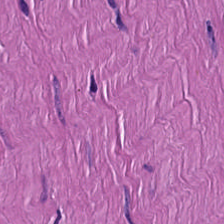H&E · 0.5 microns per pixel. Classification = muscularis.
